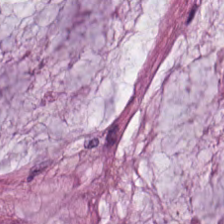This patch shows extracellular mucin.
